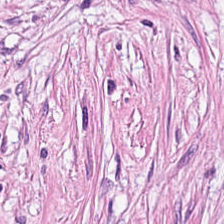Showing cancer-associated stroma.
